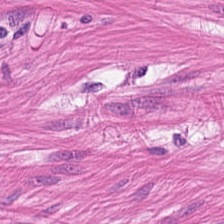Hematoxylin and eosin. 224×224 pixel tile — Tissue: muscularis.
